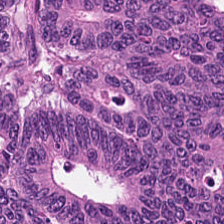0.5 µm per pixel; H&E-stained tissue section.
Predominantly malignant epithelium.
